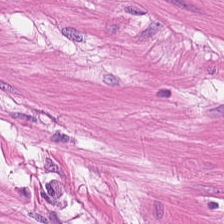H&E stain — This field is smooth muscle.
